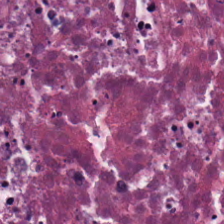H&E stain. This patch shows debris.
